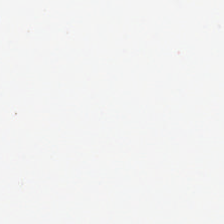H&E-stained tissue section — Background — no tissue in this field.
